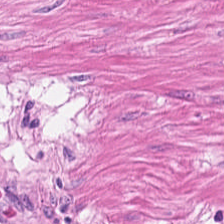0.5 µm per pixel · H&E. The tissue here is smooth muscle.
